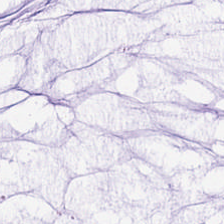H&E-stained tissue section.
Q: Identify the tissue.
A: Extracellular mucin.
